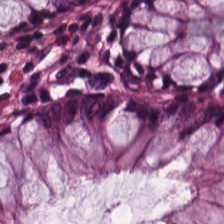Tissue type — non-neoplastic colon mucosa.
